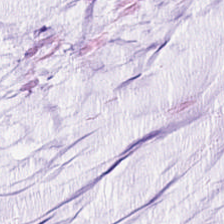H&E; 224×224 px patch. Classification = mucin.
